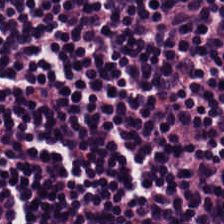H&E stain. 224×224 pixel tile. FFPE tissue section.
Lymphocytes.
